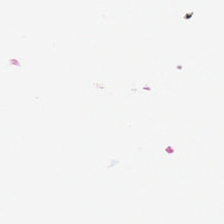0.5 microns per pixel. Hematoxylin and eosin. Q: What does this patch show?
A: It is no tissue.
